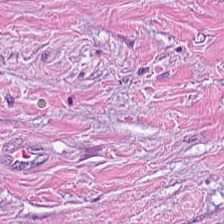FFPE tissue section; hematoxylin and eosin. Q: What is shown here?
A: It is desmoplastic stroma.
